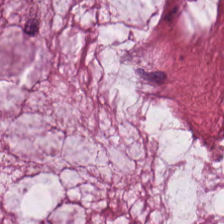Hematoxylin and eosin.
Tissue: extracellular mucin.
